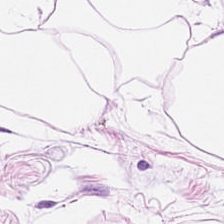Fat tissue.
